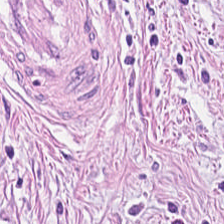H&E-stained tissue section — Tissue class — desmoplastic stroma.
